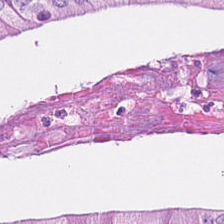Hematoxylin and eosin. The tissue here is colorectal adenocarcinoma epithelium.
